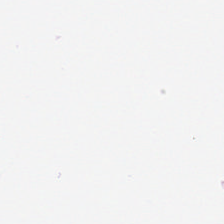Hematoxylin and eosin — Finding — adipocytes.
